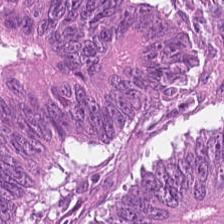The predominant tissue is colorectal adenocarcinoma.
